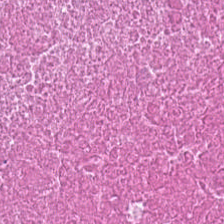This field is cellular debris.
